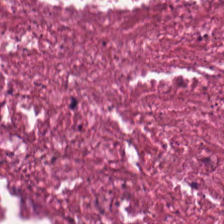Stain: H&E.
Tile size: 224×224 px patch.
Predominant tissue: necrotic debris.
